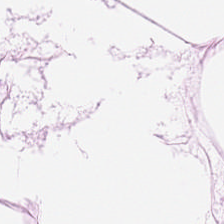Stain: hematoxylin and eosin.
Classification: adipose tissue.
